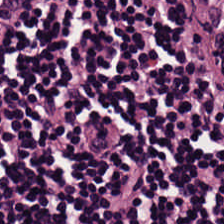Hematoxylin-and-eosin stained section; 224×224 pixel tile. Q: What is shown here?
A: It is lymphoid infiltrate.
